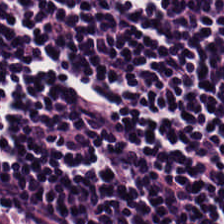Hematoxylin-and-eosin stained section — This field is lymphocytes.
